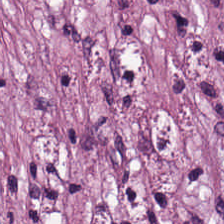FFPE tissue section. Brightfield microscopy. H&E stain.
Tissue type: tumor-associated stroma.
